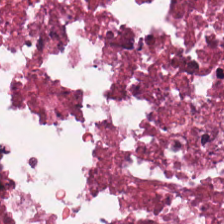Stain: H&E stain.
Preparation: FFPE tissue section.
Tile size: 224×224 px patch.
Predominant tissue: cellular debris.
